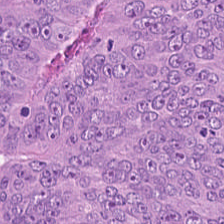Hematoxylin and eosin. FFPE tissue section — Q: Identify the tissue.
A: This is tumor epithelium.
